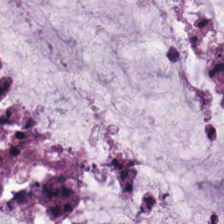Hematoxylin-and-eosin stained section · formalin-fixed paraffin-embedded section. Classification — mucus.
